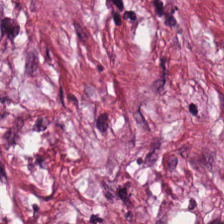Hematoxylin and eosin; brightfield microscopy; 224×224 px tile.
This field is tumor-associated stroma.
